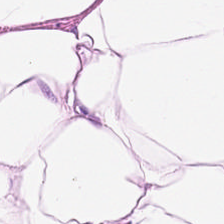20× equivalent magnification. Hematoxylin and eosin — This field is adipose tissue.
